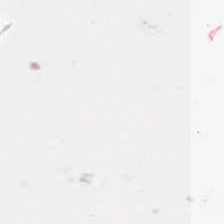H&E-stained tissue section; FFPE tissue section.
No tissue present; background only.
